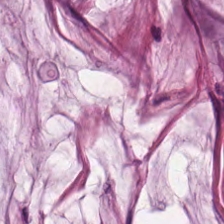Hematoxylin-and-eosin stained section.
The predominant tissue is mucin.
